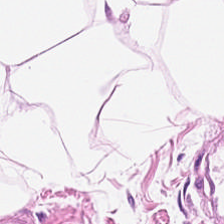Hematoxylin-and-eosin stained section. Formalin-fixed paraffin-embedded section. Whole-slide-image patch. Q: What tissue type is shown here?
A: Adipocytes.
